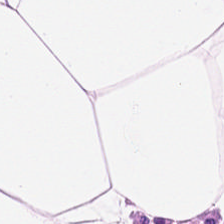Hematoxylin-and-eosin stained section — The classification is adipocytes.
